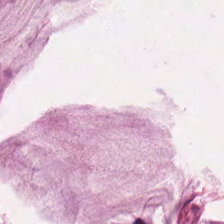Tissue class: mucus.
